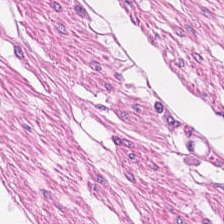FFPE; 0.5 microns per pixel; hematoxylin and eosin.
Showing smooth muscle.
